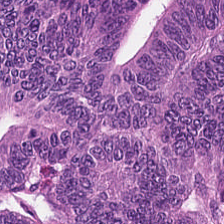The classification is colorectal adenocarcinoma epithelium.
